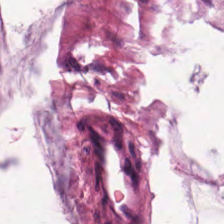Stain: H&E stain.
Tissue type: extracellular mucin.
